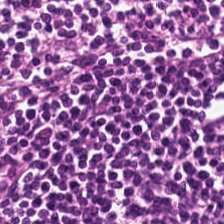Hematoxylin and eosin. 0.5 µm per pixel.
Impression — lymphocytes.
